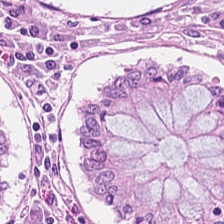H&E-stained tissue section. 0.5 µm/px. Predominantly benign colonic mucosa.
